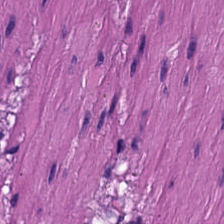Q: What type of tissue is this?
A: This is muscularis.
